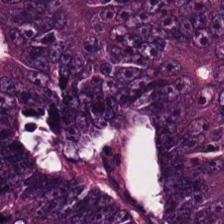Hematoxylin-and-eosin stained section. Q: What tissue type is shown here?
A: Adenocarcinoma.
